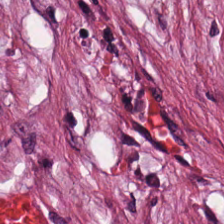H&E-stained tissue section · 224×224 px tile — Tissue class — tumor-associated stroma.
